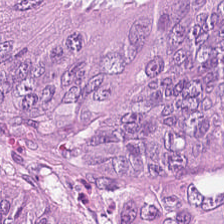Tissue — malignant epithelium.
